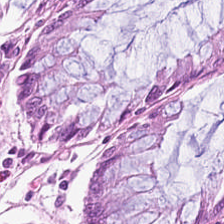H&E-stained tissue section showing normal colonic mucosa.
